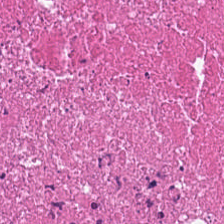Hematoxylin-and-eosin stained section · 224×224 pixel tile. Q: Identify the tissue.
A: This is cellular debris.
